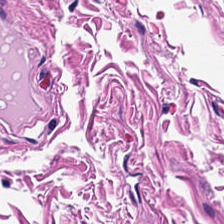H&E-stained tissue section.
Smooth muscle.
